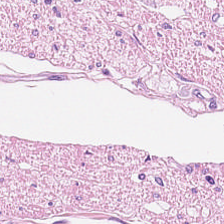H&E · brightfield. This field is muscularis.
